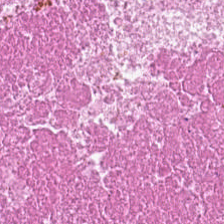Hematoxylin and eosin; FFPE — Classification — necrotic debris.
